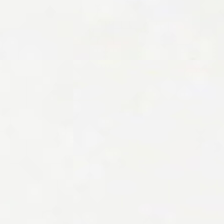No tissue present; background only.
